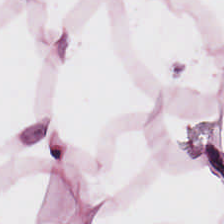H&E-stained tissue section — Impression — adipocytes.
